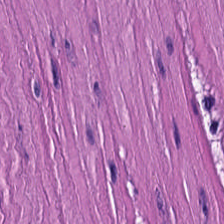Q: What tissue is shown?
A: This is smooth muscle.
